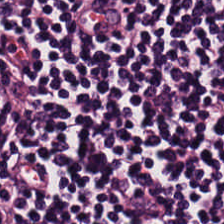Impression → lymphocyte aggregate.
